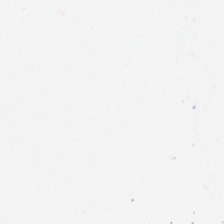Hematoxylin-and-eosin stained section · 0.5 microns per pixel. Histology → background.
